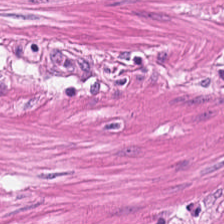Hematoxylin and eosin — The tissue here is muscularis.
